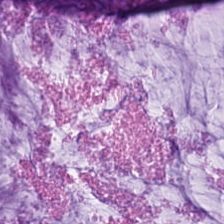0.5 µm/px; hematoxylin-and-eosin stained section.
The tissue is mucin.
